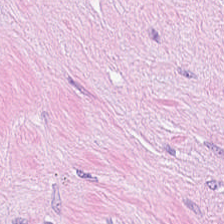0.5 microns per pixel · H&E stain. Impression — tumor stroma.
